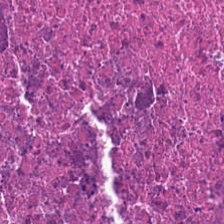224×224 px patch; formalin-fixed paraffin-embedded section; hematoxylin and eosin. Q: What is shown here?
A: Cellular debris.
